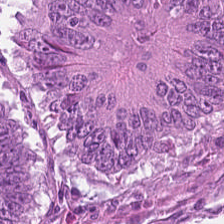H&E.
The tissue here is adenocarcinoma.
